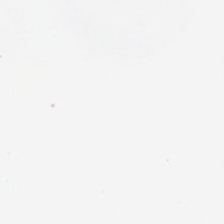Finding — empty background.
